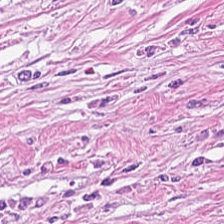Brightfield · H&E-stained tissue section — Q: What is shown in this field?
A: Tumor-associated stroma.
